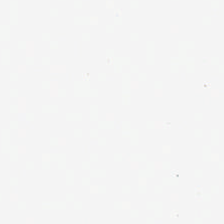FFPE · hematoxylin and eosin.
Q: What is shown here?
A: Background (no tissue).
